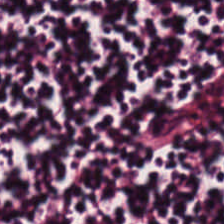0.5 µm/px; H&E-stained tissue section — Q: What type of tissue is this?
A: This is lymphocyte aggregate.
